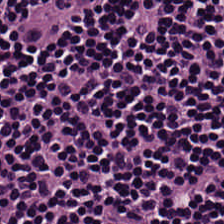H&E; FFPE tissue section.
The predominant tissue is lymphoid infiltrate.
